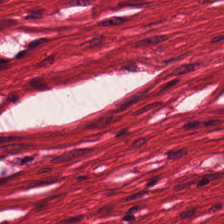H&E stain. 0.5 µm/px. {"tissue_type": "smooth muscle"}
